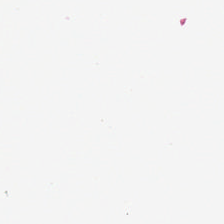Stain: H&E stain.
Preparation: formalin-fixed paraffin-embedded section.
Content: background (no tissue).
